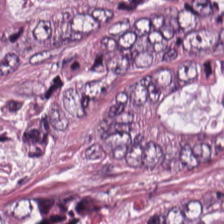Finding — colorectal adenocarcinoma epithelium.
